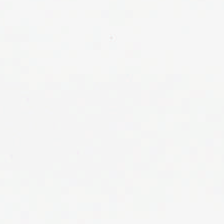Finding → empty background.
